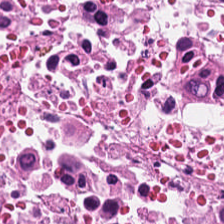H&E-stained section; the field shows necrotic debris.
